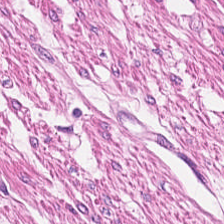Tissue type — smooth muscle.
